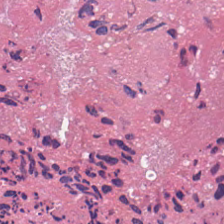Hematoxylin-and-eosin stained section. 0.5 microns per pixel — The tissue is cellular debris.
